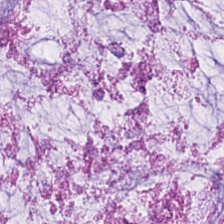224×224 px tile; hematoxylin and eosin. Finding → mucus.
